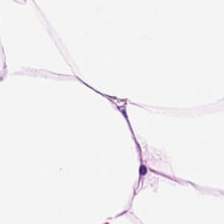H&E stain · 224×224 px tile · brightfield — Tissue type — adipocytes.
